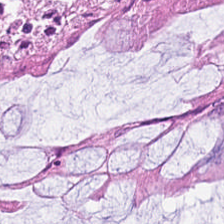H&E. 224×224 px tile.
Showing normal colonic mucosa.
